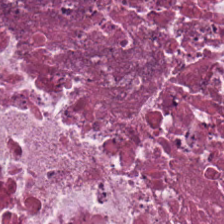H&E; 224×224 px tile — This patch shows necrotic debris.
